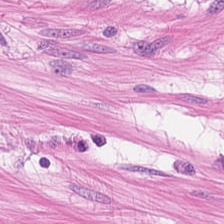Hematoxylin-and-eosin stained section · 0.5 microns per pixel · brightfield microscopy.
Predominantly smooth-muscle tissue.
